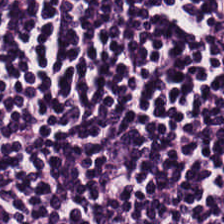Hematoxylin-and-eosin section: lymphoid infiltrate.
